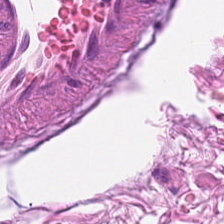Predominant tissue: smooth-muscle tissue.
